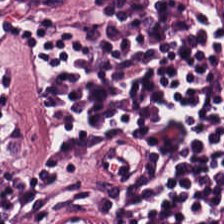Stain: H&E stain.
Tissue class: lymphocytes.
